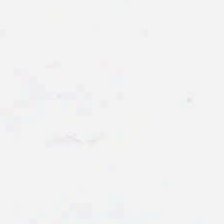H&E stain; 224×224 px tile.
Q: What is shown here?
A: This is no tissue.
